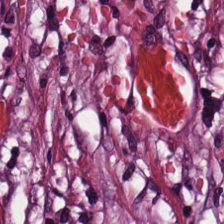Showing tumor stroma.
